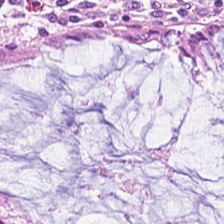Hematoxylin and eosin — The predominant tissue is benign colonic mucosa.
